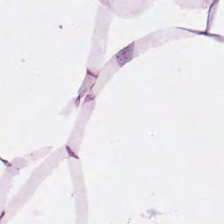224×224 pixel tile · 0.5 µm/px · H&E-stained tissue section — Classification = adipose tissue.
